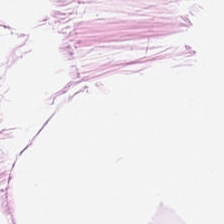FFPE. H&E stain. This field is fat tissue.
